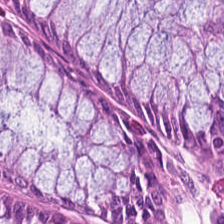Hematoxylin-and-eosin stained section. Q: Identify the tissue.
A: Non-neoplastic colon mucosa.
